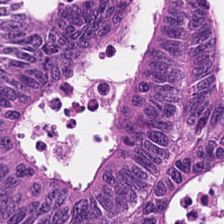Stain: H&E.
Tissue: malignant epithelium.
